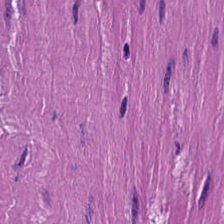224×224 px patch · hematoxylin-and-eosin stained section · 0.5 µm per pixel. Q: Classify this patch.
A: It is smooth muscle.
